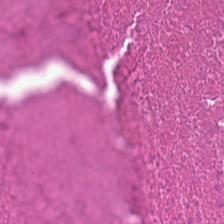H&E. This field is debris.
